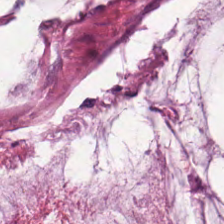Showing mucus.
